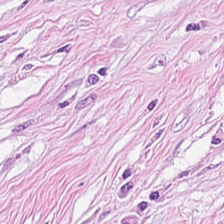Hematoxylin-and-eosin section: tumor stroma.
